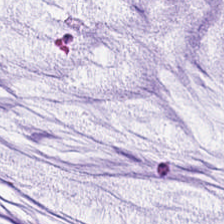Hematoxylin and eosin; brightfield; 20× equivalent magnification.
Tissue — mucus.
